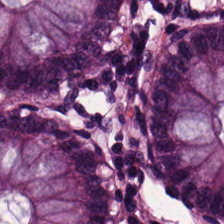Hematoxylin-and-eosin stained section.
Impression → non-neoplastic colon mucosa.
